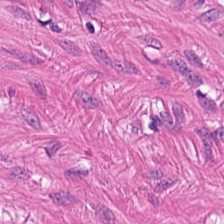H&E stain — Tissue = smooth-muscle tissue.
